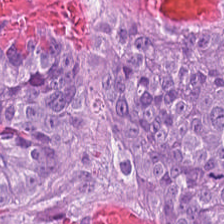H&E stain; brightfield microscopy.
Predominant tissue = tumor epithelium.
